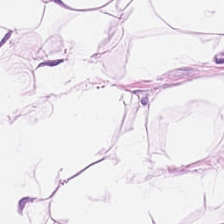Hematoxylin-and-eosin stained section. Tissue: fat tissue.
